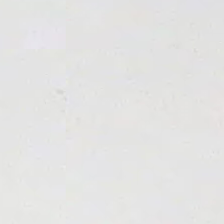Hematoxylin-and-eosin stained section. {"content": "background (no tissue)"}
